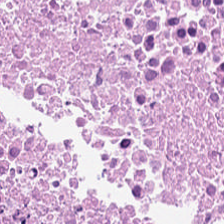Q: What is shown here?
A: The field shows cellular debris.
